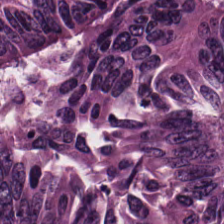Stain: H&E-stained tissue section.
Preparation: formalin-fixed paraffin-embedded section.
Tile size: 224×224 px tile.
Tissue: tumor epithelium.
